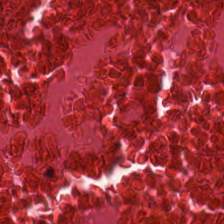H&E. This patch shows debris.
